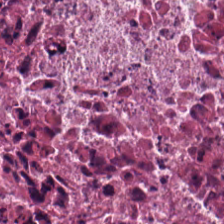The tissue is debris.
